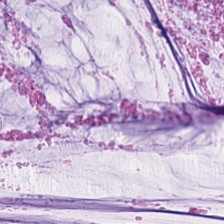H&E stain · FFPE. Extracellular mucin.
